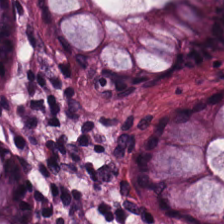H&E — Impression — non-neoplastic colon mucosa.
